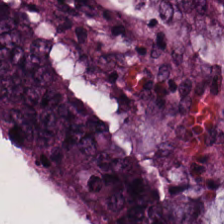{"tissue_type": "colorectal adenocarcinoma"}
